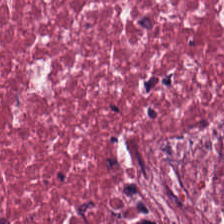FFPE; H&E — Showing tumor stroma.
